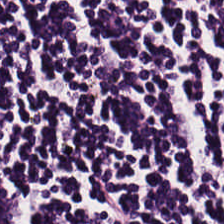Hematoxylin-and-eosin stained section; 224×224 pixel tile; FFPE — Predominant tissue = lymphocytes.
